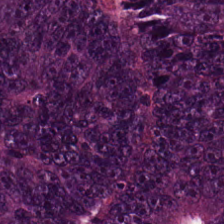H&E. Histology → colorectal adenocarcinoma.
